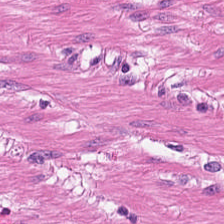H&E · 0.5 µm/px · FFPE.
Tissue class — smooth muscle.
